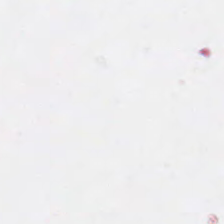FFPE; H&E stain.
Empty field — no tissue.
